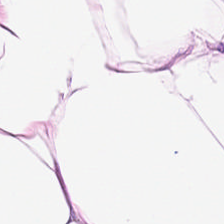H&E stain · whole-slide-image patch.
Predominantly fat tissue.
